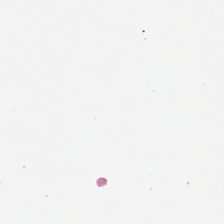Hematoxylin-and-eosin stained section. FFPE.
Q: What does this patch show?
A: The field shows background.
